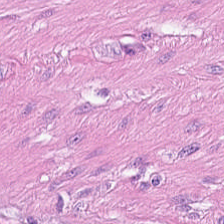Hematoxylin and eosin — This patch shows muscularis.
